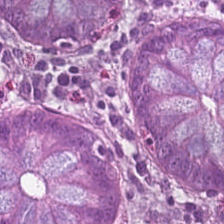Hematoxylin and eosin · WSI patch — This field is non-neoplastic colon mucosa.
